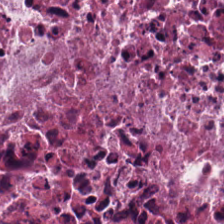Stain: hematoxylin-and-eosin stained section.
Tissue: cellular debris.
